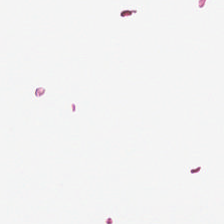WSI patch; FFPE tissue section; H&E.
Q: Classify this patch.
A: The field shows empty background.
